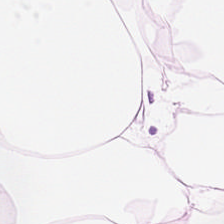H&E. Finding → adipocytes.
